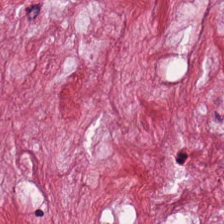Hematoxylin and eosin. Tumor stroma.
